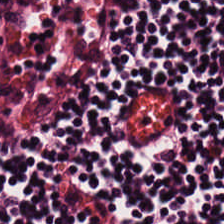Q: What is shown in this field?
A: The field shows lymphocytes.
